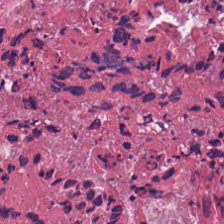H&E. {"tissue_type": "necrotic debris"}
